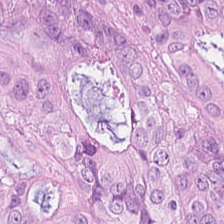0.5 microns per pixel; H&E stain; 224×224 px patch — Classification — adenocarcinoma.
